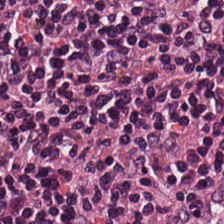Hematoxylin and eosin · brightfield microscopy · 20× equivalent magnification.
Showing lymphocyte aggregate.
